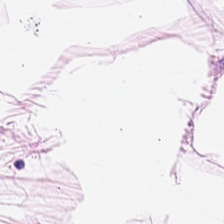FFPE tissue section. H&E stain. This field is adipocytes.
